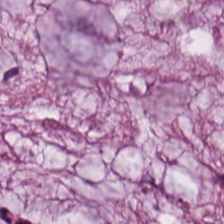Hematoxylin-and-eosin stained section. Predominantly mucin.
